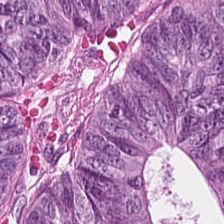H&E-stained tissue section; whole-slide-image patch; formalin-fixed paraffin-embedded section. Showing adenocarcinoma.
